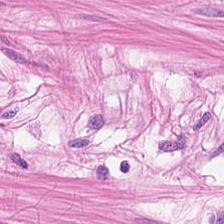Q: What type of tissue is this?
A: It is smooth muscle.
